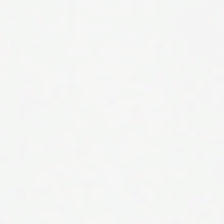H&E · brightfield. Field content = background.
